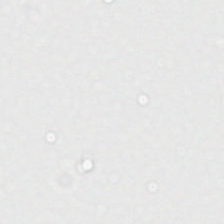FFPE tissue section · brightfield microscopy · hematoxylin and eosin. Q: What is shown here?
A: It is no tissue.
